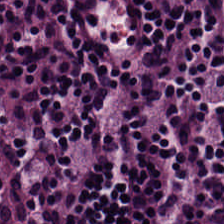Hematoxylin and eosin — The tissue type is lymphocytic infiltrate.
